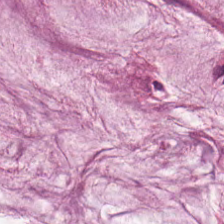H&E stain — The tissue here is mucus.
